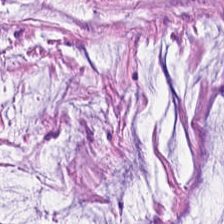H&E — This field is extracellular mucin.
